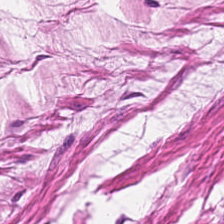H&E stain. 20× equivalent magnification. Smooth-muscle tissue.
